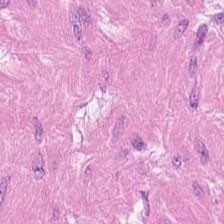H&E-stained tissue section. 0.5 µm per pixel — The predominant tissue is muscularis.
